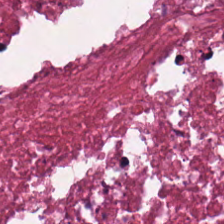Hematoxylin-and-eosin stained section; 0.5 µm/px; 224×224 pixel tile. This patch shows cellular debris.
